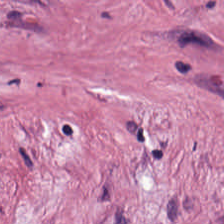Stain: H&E.
Preparation: formalin-fixed paraffin-embedded section.
Tile size: 224×224 pixel tile.
Tissue class: tumor stroma.
